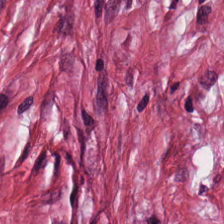Stain: H&E.
Classification: cancer-associated stroma.
